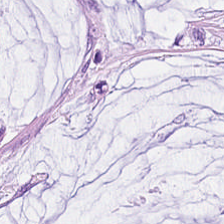{"tissue_type": "mucus"}
